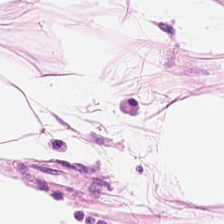Stain: hematoxylin-and-eosin stained section.
Tissue type: adipocytes.
